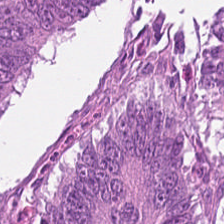Tissue type = colorectal adenocarcinoma.
